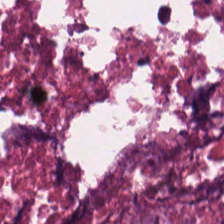Hematoxylin-and-eosin stained section — Q: What type of tissue is this?
A: It is cellular debris.
